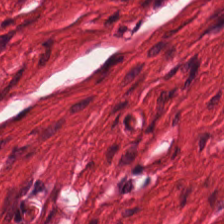Hematoxylin and eosin. Predominant tissue — smooth muscle.
